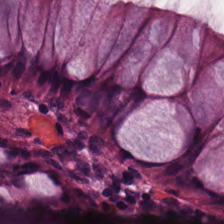Brightfield. H&E-stained tissue section. 0.5 microns per pixel.
Predominantly normal colonic mucosa.
